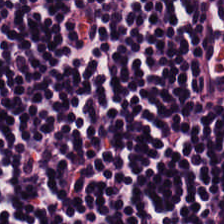H&E; 0.5 µm per pixel. Tissue — lymphocytes.
